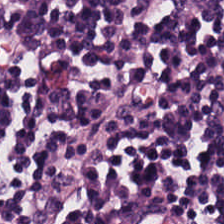Histology → lymphocytic infiltrate.
